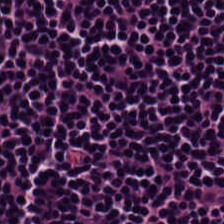H&E — Q: Classify this patch.
A: This is lymphocytic infiltrate.
